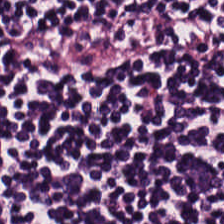Stain: H&E stain.
Tile size: 224×224 px tile.
Preparation: FFPE.
Predominant tissue: lymphocytes.
